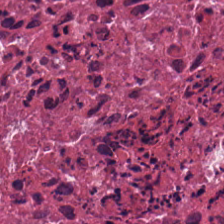Predominant tissue: cellular debris.
